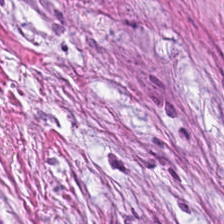H&E-stained tissue section.
Predominant tissue = tumor stroma.
